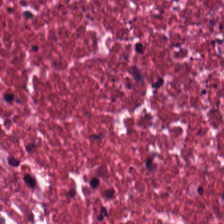Stain: hematoxylin and eosin.
Predominant tissue: debris.
